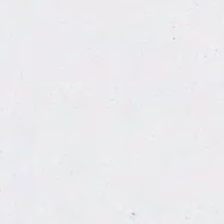224×224 pixel tile; H&E stain. Field content: empty background.
